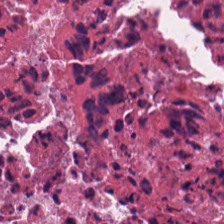224×224 px tile · hematoxylin and eosin. Q: What type of tissue is this?
A: Necrotic debris.
